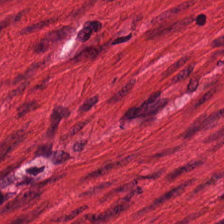Stain: H&E-stained tissue section.
Tissue: smooth muscle.
